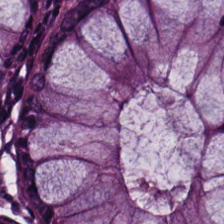H&E stain. Benign colonic mucosa.
